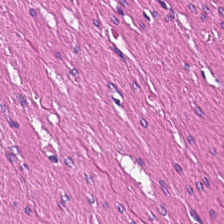FFPE tissue section. H&E-stained tissue section. Brightfield. Q: What tissue type is shown here?
A: This is muscularis.
